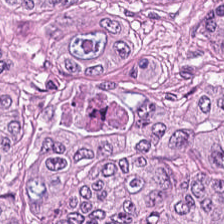0.5 µm per pixel · hematoxylin-and-eosin stained section · formalin-fixed paraffin-embedded section.
Tumor epithelium.
